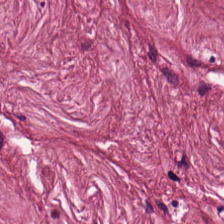H&E patch showing tumor-associated stroma.
